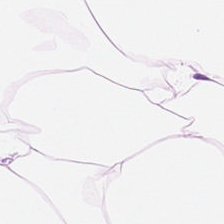This patch shows adipose tissue.
